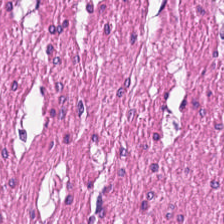Hematoxylin and eosin — This field is smooth-muscle tissue.
